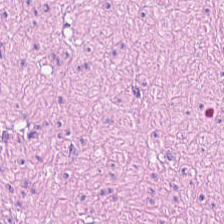H&E stain; 224×224 pixel tile; 0.5 microns per pixel. Muscularis.
